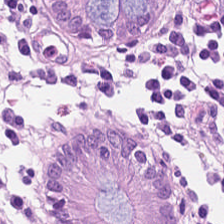Non-neoplastic colon mucosa.
